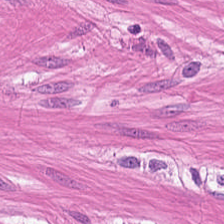H&E stain — Q: What is the predominant tissue type?
A: This is smooth muscle.
